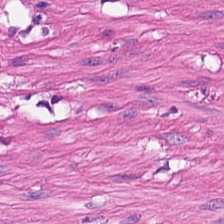0.5 µm per pixel. Formalin-fixed paraffin-embedded section. H&E-stained tissue section.
Histology → smooth muscle.
